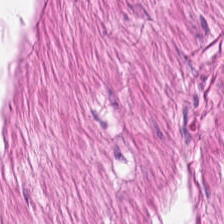Classification — muscularis.
